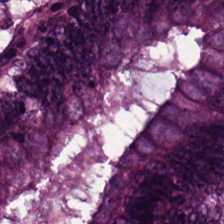20× equivalent magnification. FFPE tissue section. Hematoxylin-and-eosin stained section. Classification — adenocarcinoma.
